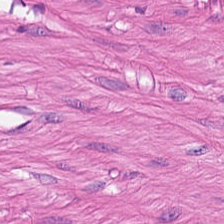H&E-stained tissue section. Showing muscularis.
